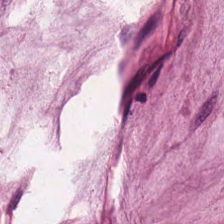Hematoxylin-and-eosin stained section · 20× equivalent magnification — Showing mucin.
